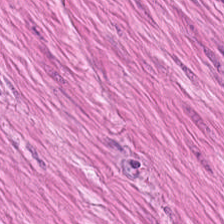Tissue class = smooth-muscle tissue.
